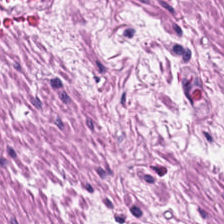H&E-stained tissue section. Finding → smooth-muscle tissue.
